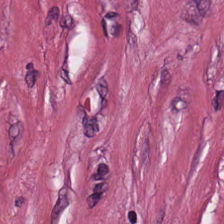Hematoxylin and eosin. 0.5 µm per pixel.
This field is desmoplastic stroma.
